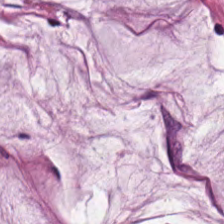H&E stain. FFPE tissue section. 224×224 pixel tile. Q: What is shown in this field?
A: The field shows mucus.
